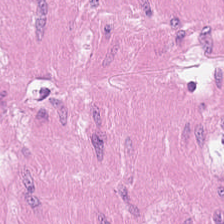The classification is muscularis.
